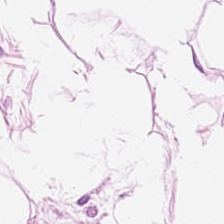Stain: hematoxylin and eosin.
Tissue class: fat tissue.
